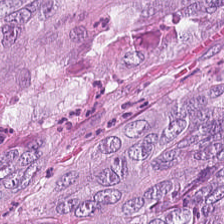224×224 pixel tile · 0.5 microns per pixel · H&E-stained tissue section.
The predominant tissue is malignant epithelium.
